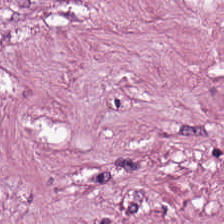H&E-stained tissue section.
Predominantly desmoplastic stroma.
